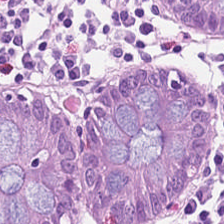Brightfield microscopy · hematoxylin-and-eosin stained section · 20× equivalent magnification.
{"tissue_type": "normal colon mucosa"}
